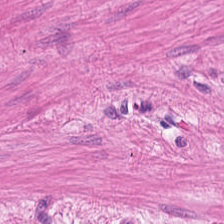Hematoxylin-and-eosin stained section.
Tissue type — smooth muscle.
